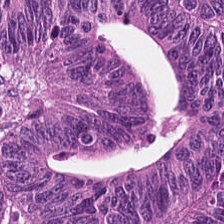H&E. Q: Classify this patch.
A: This is adenocarcinoma.
